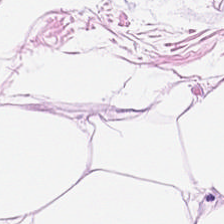H&E-stained tissue section. Q: What type of tissue is this?
A: This is adipose tissue.
